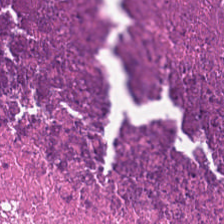H&E stain.
Cellular debris.
